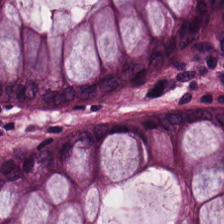H&E stain. Brightfield microscopy.
Tissue class = normal colonic mucosa.
